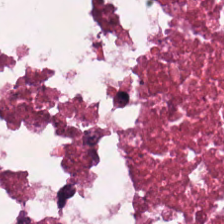Stain: hematoxylin and eosin.
Tissue type: cellular debris.
